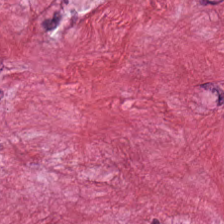224×224 px tile. Hematoxylin-and-eosin stained section. The tissue here is cancer-associated stroma.
